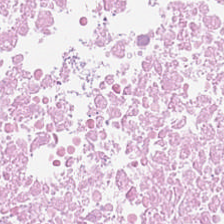H&E. Tissue: necrotic debris.
